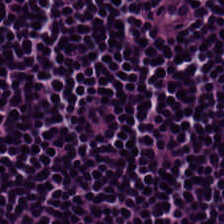Q: Identify the tissue.
A: The field shows lymphoid infiltrate.
